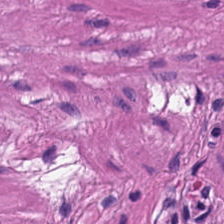0.5 µm per pixel; hematoxylin-and-eosin stained section; brightfield. The tissue type is smooth-muscle tissue.
